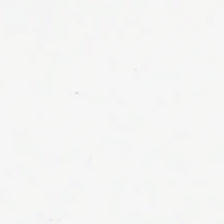Hematoxylin and eosin — Impression — empty background.
